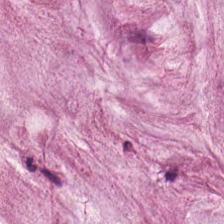Impression — extracellular mucin.
